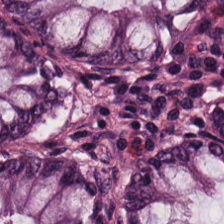FFPE tissue section. 224×224 px tile. Hematoxylin-and-eosin stained section. Finding → benign colonic mucosa.
